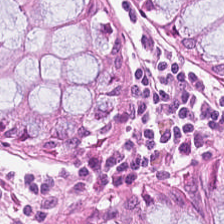Tissue type: normal colon mucosa.
